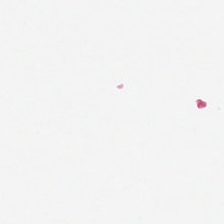Stain: hematoxylin-and-eosin stained section.
Field content: background.
